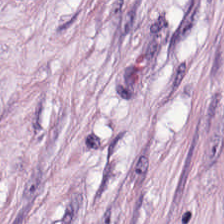Impression → cancer-associated stroma.
